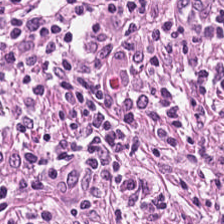Impression — desmoplastic stroma.
